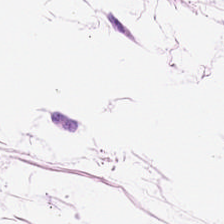FFPE; hematoxylin and eosin; brightfield.
This field is fat tissue.
